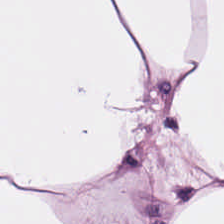H&E.
Showing adipose.
